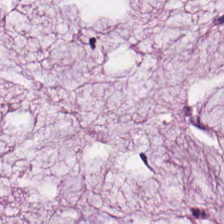Hematoxylin-and-eosin stained section — Q: Identify the tissue.
A: Mucin.
